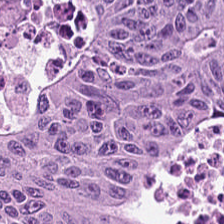Tissue class: tumor epithelium.
